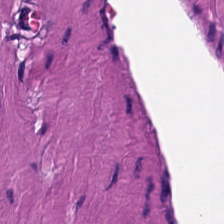H&E-stained section; the field shows smooth muscle.
